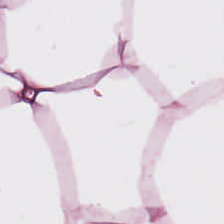H&E-stained tissue section; FFPE. This field is fat tissue.
